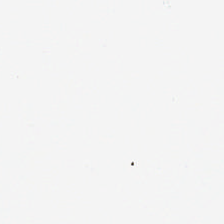224×224 pixel tile · hematoxylin and eosin · 0.5 µm/px — No tissue present; background only.
